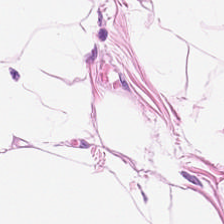H&E-stained tissue section — Impression — adipocytes.
